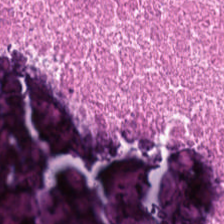Cellular debris.
